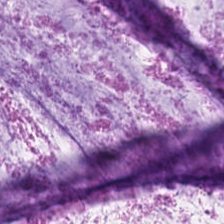H&E-stained tissue section; whole-slide-image patch; 0.5 µm per pixel.
Histology → mucus.
